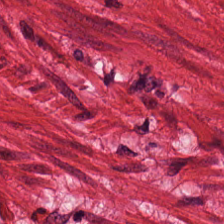Tissue type = smooth-muscle tissue.
